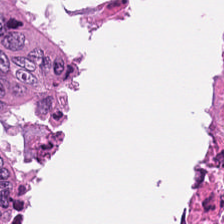Q: What is shown here?
A: It is debris.
